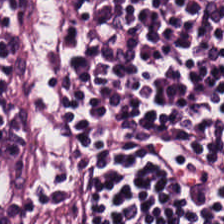Hematoxylin-and-eosin stained section. 224×224 pixel tile — The predominant tissue is lymphocyte aggregate.
